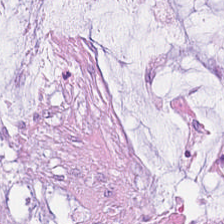Hematoxylin-and-eosin stained section. 0.5 microns per pixel — Finding — mucin.
